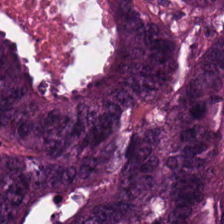H&E stain — The predominant tissue is tumor epithelium.
